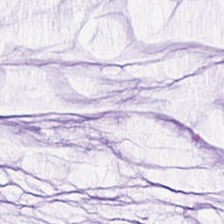Predominant tissue = mucin.
